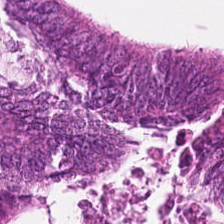Q: What is the predominant tissue type?
A: It is colorectal adenocarcinoma epithelium.
